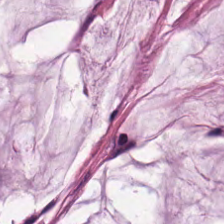224×224 px tile · hematoxylin and eosin.
Showing mucus.
